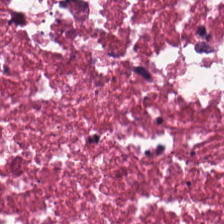Showing necrotic debris.
